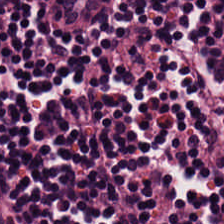Hematoxylin-and-eosin stained section.
The predominant tissue is lymphoid infiltrate.
